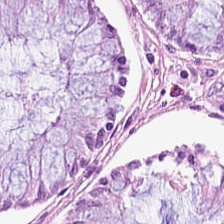Stain: H&E.
Resolution: 0.5 µm per pixel.
Tissue type: benign colonic mucosa.
